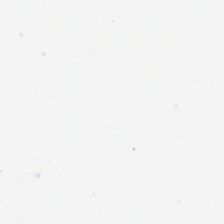Stain: H&E.
Classification: background.
